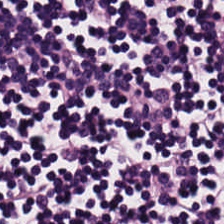Classification: lymphocyte aggregate.
